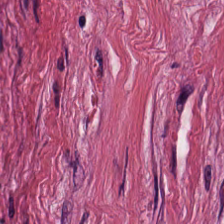Hematoxylin and eosin — This patch shows cancer-associated stroma.
